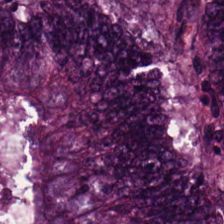Q: What tissue type is shown here?
A: It is adenocarcinoma.
